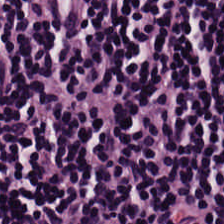H&E.
Lymphoid infiltrate.
